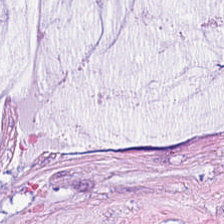Showing mucin.
